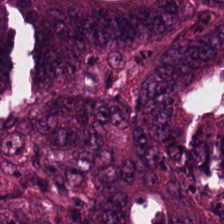Hematoxylin and eosin.
The tissue here is malignant epithelium.
